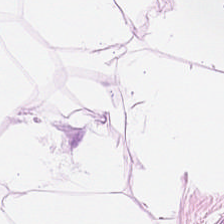Hematoxylin-and-eosin stained section.
The tissue class is adipose.
